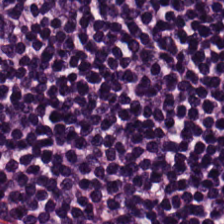H&E stain.
Tissue = lymphoid infiltrate.
